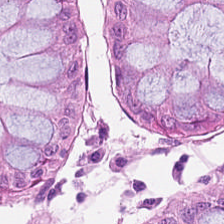Stain: H&E stain.
Classification: normal colonic mucosa.
